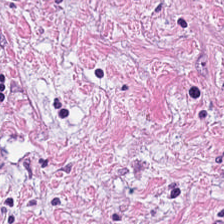Hematoxylin-and-eosin stained section. Q: What is the predominant tissue type?
A: It is desmoplastic stroma.
